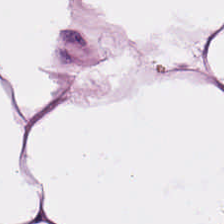Hematoxylin-and-eosin stained section.
Predominant tissue — adipocytes.
